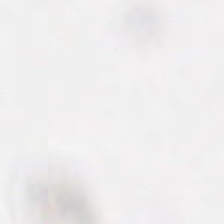This field is background (no tissue).
